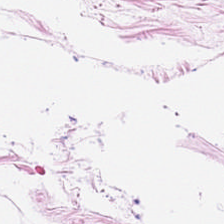H&E-stained tissue section.
Q: What is the predominant tissue type?
A: This is adipocytes.
